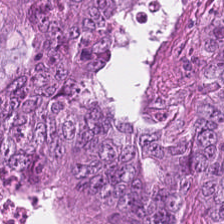Stain: hematoxylin and eosin.
Tissue: malignant epithelium.
